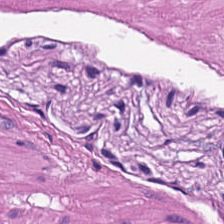H&E.
Tissue — smooth-muscle tissue.
